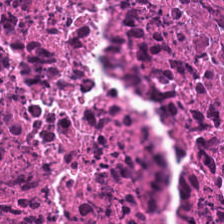H&E. This field is necrotic debris.
